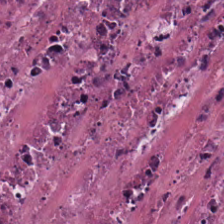Hematoxylin and eosin; formalin-fixed paraffin-embedded section; 0.5 µm/px — The tissue here is debris.
